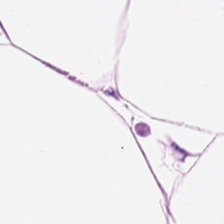FFPE. Hematoxylin-and-eosin stained section.
This patch shows fat tissue.
